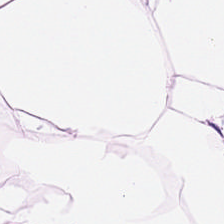H&E-stained tissue section.
Q: What tissue is shown?
A: This is fat tissue.
